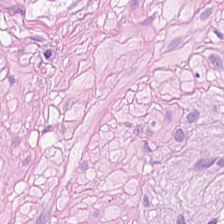H&E — Finding — smooth muscle.
